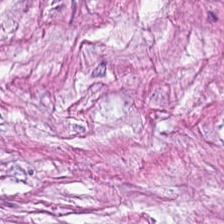Stain: H&E.
Tissue type: tumor-associated stroma.
